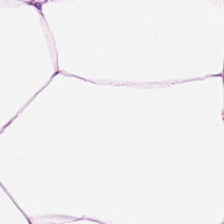Stain: hematoxylin and eosin.
Acquisition: whole-slide-image patch.
Tissue type: adipocytes.
